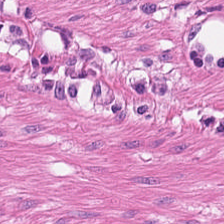Hematoxylin-and-eosin stained section.
Histology — muscularis.
